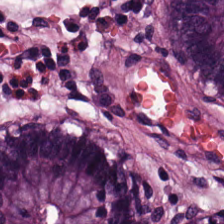H&E stain · WSI patch · FFPE tissue section — Classification = normal colonic mucosa.
